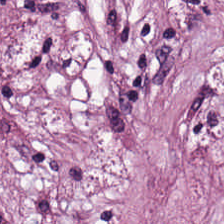H&E — desmoplastic stroma.
